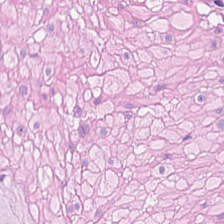224×224 px tile. H&E-stained tissue section — Tissue type — smooth muscle.
